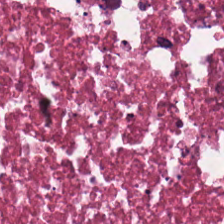Stain: H&E stain.
Tissue type: necrotic debris.
